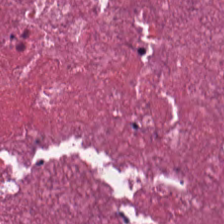Histology — necrotic debris.
